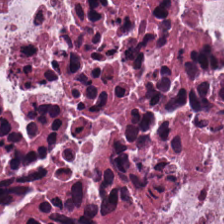Tissue: debris.
